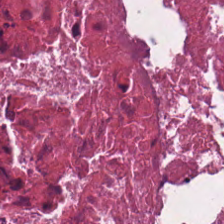H&E stain. The tissue here is necrotic debris.
